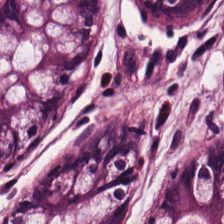Stain: H&E.
Preparation: formalin-fixed paraffin-embedded section.
Tissue class: benign colonic mucosa.
